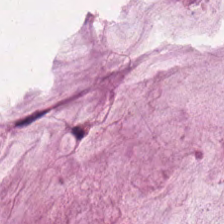Hematoxylin-and-eosin stained section. Q: Identify the tissue.
A: This is mucin.
